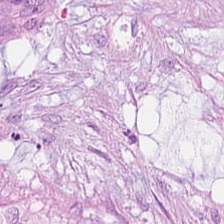The predominant tissue is malignant epithelium.
